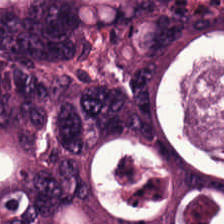Whole-slide-image patch; H&E stain.
Impression — colorectal adenocarcinoma.
